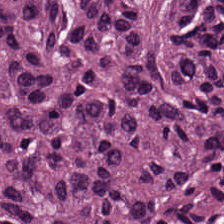Colorectal adenocarcinoma.
